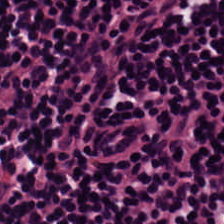The tissue here is lymphocyte aggregate.
